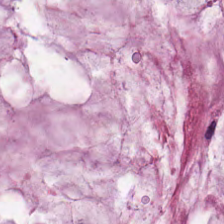Hematoxylin and eosin; whole-slide-image patch; 224×224 px patch — {"tissue_type": "extracellular mucin"}
